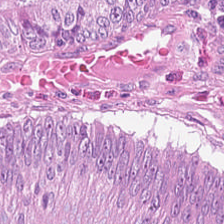H&E. Tissue type = colorectal adenocarcinoma epithelium.
